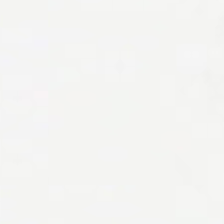Brightfield; hematoxylin-and-eosin stained section. The field content is empty background.
